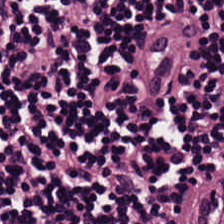WSI patch; hematoxylin and eosin; 224×224 pixel tile. The classification is lymphocytic infiltrate.
